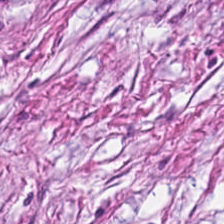Whole-slide-image patch. H&E — Classification: tumor stroma.
